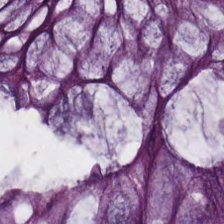Brightfield microscopy. H&E stain. 224×224 pixel tile — Tissue class = benign colonic mucosa.
